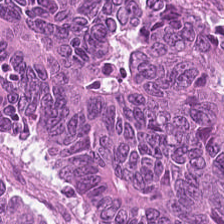0.5 µm per pixel. Hematoxylin-and-eosin stained section. 224×224 px tile — The tissue class is colorectal adenocarcinoma epithelium.
